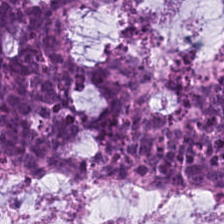H&E — extracellular mucin.
